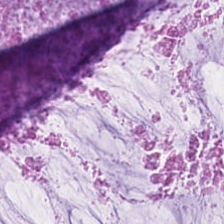H&E-stained tissue section — Impression — mucus.
